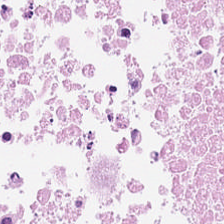WSI patch; H&E-stained tissue section.
Classification = cellular debris.
